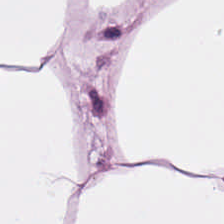0.5 µm per pixel. Brightfield. H&E-stained tissue section.
Tissue type — fat tissue.
